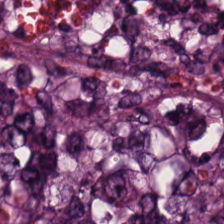H&E-stained tissue section. Predominant tissue = malignant epithelium.
